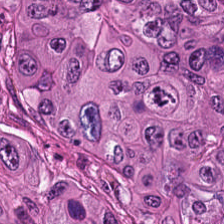Brightfield · hematoxylin and eosin.
Colorectal adenocarcinoma.
